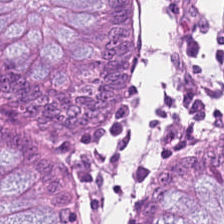H&E stain · 20× equivalent magnification. Histology — normal colon mucosa.
